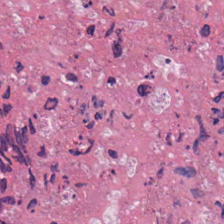Stain: H&E.
Classification: necrotic debris.
